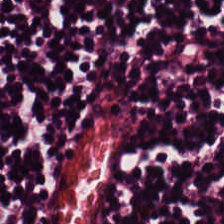H&E stain; brightfield microscopy.
Classification: lymphocytes.
